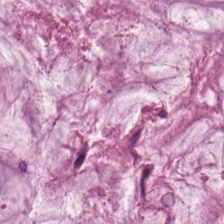Stain: H&E-stained tissue section.
Tissue class: mucus.
